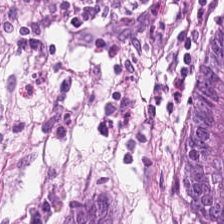224×224 px tile. H&E stain. 0.5 µm per pixel — Showing non-neoplastic colon mucosa.
